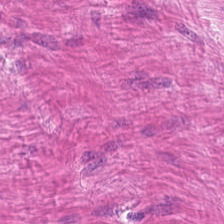Brightfield · hematoxylin and eosin. {"tissue_type": "muscularis"}
